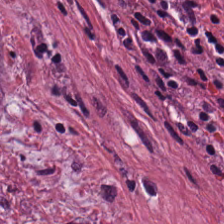H&E.
Predominantly desmoplastic stroma.
